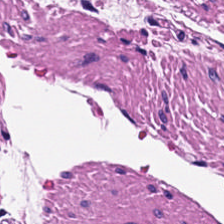Finding — smooth muscle.
